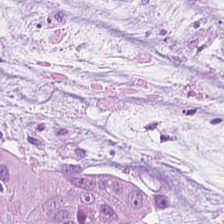0.5 µm/px. Hematoxylin and eosin. Predominantly mucin.
